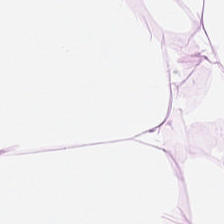This patch shows adipocytes.
